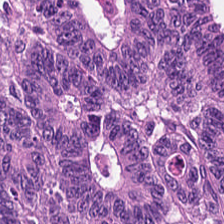H&E; 224×224 px patch — Q: What is the predominant tissue type?
A: Tumor epithelium.
